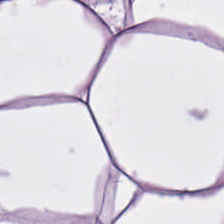H&E. Q: Identify the tissue.
A: The field shows adipose tissue.
